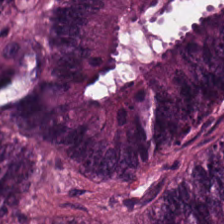H&E — The tissue class is malignant epithelium.
